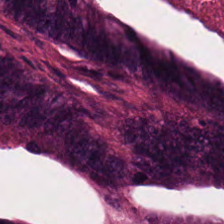Classification = colorectal adenocarcinoma epithelium.
